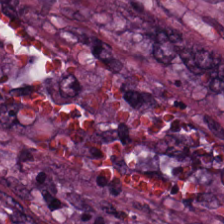0.5 microns per pixel · H&E stain — Predominantly tumor epithelium.
